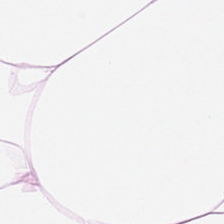H&E stain. 0.5 µm per pixel. FFPE tissue section — Q: What is the predominant tissue type?
A: It is adipocytes.
